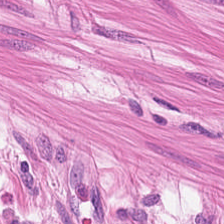224×224 px tile. H&E stain.
Predominantly smooth muscle.
